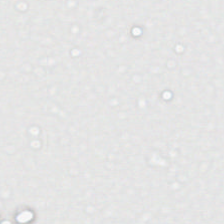H&E-stained tissue section. Content = empty background.
